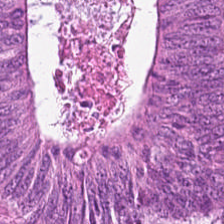Brightfield microscopy · H&E — Showing adenocarcinoma.
